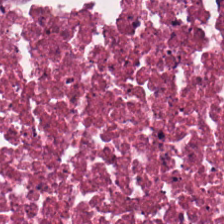Hematoxylin-and-eosin section: cellular debris.
